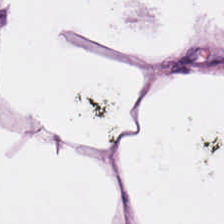224×224 px patch. Brightfield microscopy. H&E — Histology — adipose.
